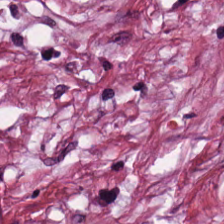Stain: H&E-stained tissue section.
Acquisition: brightfield microscopy.
Tissue class: tumor stroma.
